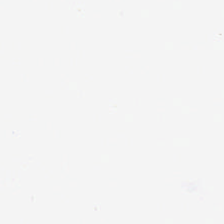224×224 pixel tile; hematoxylin and eosin; FFPE. This patch shows background.
